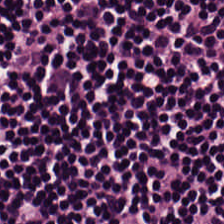Hematoxylin and eosin. The predominant tissue is lymphocyte aggregate.
